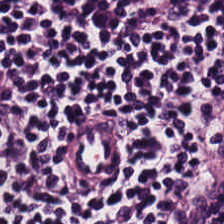H&E-stained tissue section — The tissue here is lymphocytes.
